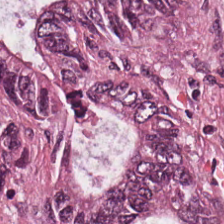Hematoxylin and eosin. Formalin-fixed paraffin-embedded section. Tissue type — adenocarcinoma.
